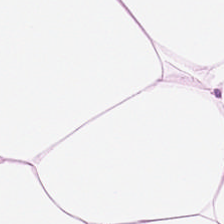H&E stain; 224×224 px tile.
This patch shows fat tissue.
